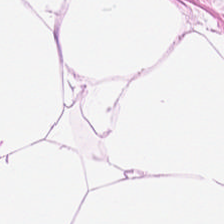Stain: H&E-stained tissue section.
Tissue type: fat tissue.
